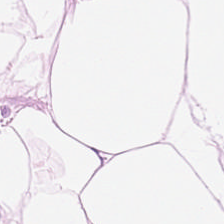Brightfield microscopy; H&E — Showing adipose.
